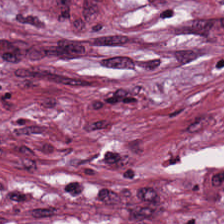Stain: H&E.
Tissue class: desmoplastic stroma.
